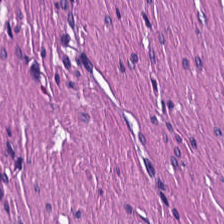Hematoxylin and eosin — Q: What is shown here?
A: Smooth muscle.
